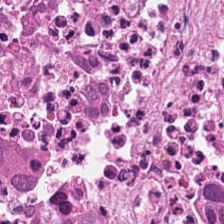224×224 pixel tile · H&E-stained tissue section · 0.5 µm per pixel.
The tissue is debris.
